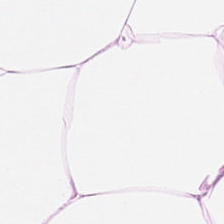WSI patch. Hematoxylin-and-eosin stained section. Tissue = adipocytes.
